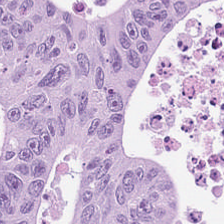FFPE tissue section. Hematoxylin-and-eosin stained section. 0.5 µm per pixel.
Tissue class — adenocarcinoma.
